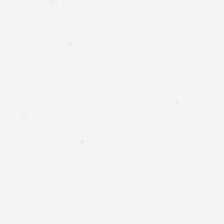Hematoxylin and eosin. This field is background (no tissue).
